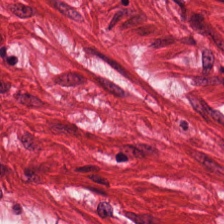Hematoxylin-and-eosin stained section — This field is smooth-muscle tissue.
